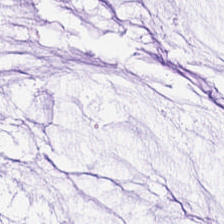0.5 µm per pixel · 224×224 px patch · hematoxylin-and-eosin stained section.
Classification — extracellular mucin.
